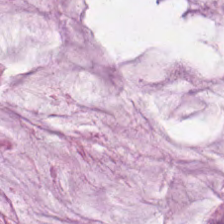Hematoxylin and eosin; brightfield — This field is mucus.
